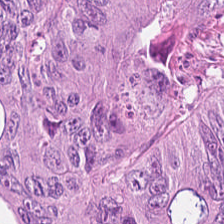H&E-stained tissue section. 0.5 µm/px. 224×224 px patch — Q: What is shown in this field?
A: It is colorectal adenocarcinoma.
